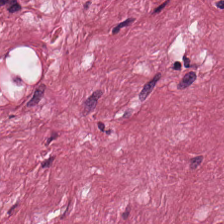224×224 pixel tile · H&E-stained tissue section · formalin-fixed paraffin-embedded section. Impression — cancer-associated stroma.
